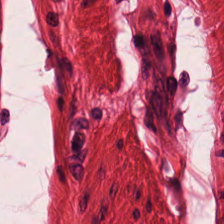H&E.
The tissue class is muscularis.
